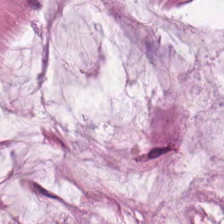224×224 px patch · brightfield microscopy · hematoxylin-and-eosin stained section — Finding — mucin.
